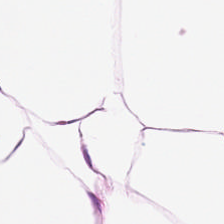Tissue class = adipose.
